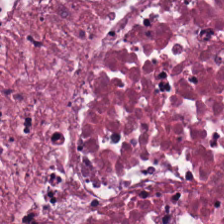Whole-slide-image patch. H&E. 0.5 µm per pixel — Tissue class — cellular debris.
